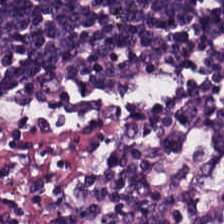H&E; brightfield microscopy — The tissue here is lymphoid infiltrate.
